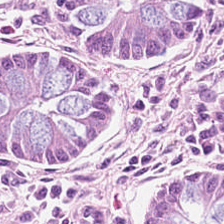Hematoxylin-and-eosin stained section — {"tissue_type": "benign colonic mucosa"}
